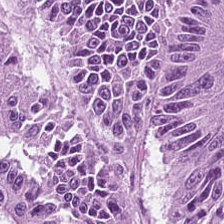224×224 px patch; H&E-stained tissue section.
Classification — malignant epithelium.
